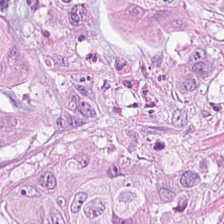H&E-stained tissue section — The tissue is adenocarcinoma.
